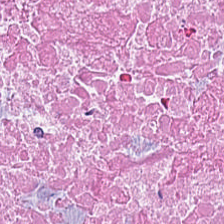Hematoxylin-and-eosin stained section.
{"tissue_type": "debris"}
